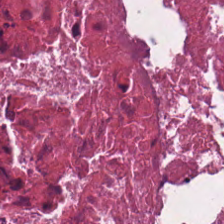Q: What is the predominant tissue type?
A: It is necrotic debris.
